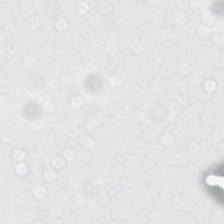Hematoxylin and eosin — Q: What is shown in this field?
A: It is empty background.
